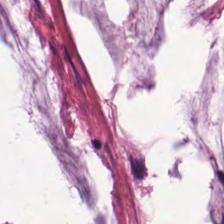Stain: H&E-stained tissue section.
Classification: extracellular mucin.
